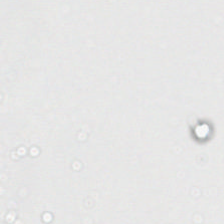Q: What is shown in this field?
A: The field shows empty background.
